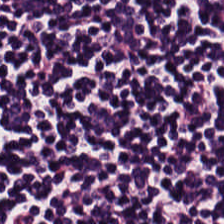Stain: hematoxylin and eosin.
Classification: lymphocytic infiltrate.
